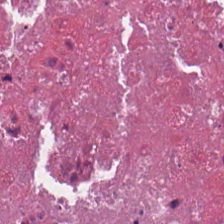H&E — Tissue class = necrotic debris.
